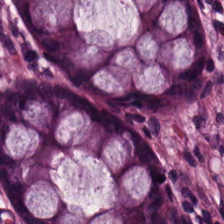H&E-stained tissue section · 0.5 µm/px — Tissue class = normal colon mucosa.
